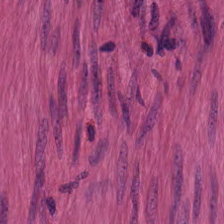Stain: hematoxylin-and-eosin stained section.
Tissue class: muscularis.
